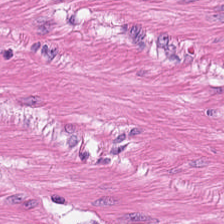H&E stain.
This patch shows smooth muscle.
